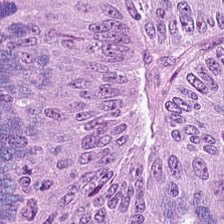Finding → malignant epithelium.
